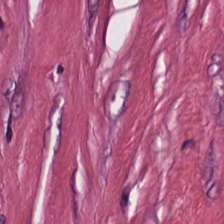H&E-stained tissue section · 0.5 µm per pixel · 224×224 px tile.
Cancer-associated stroma.
